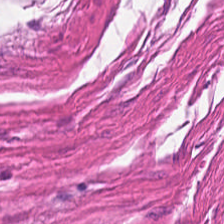H&E · FFPE tissue section. This patch shows smooth muscle.
